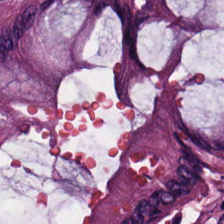H&E · 0.5 µm/px — The predominant tissue is normal colon mucosa.
